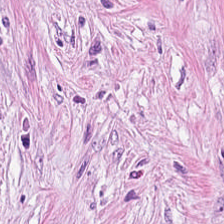Finding — desmoplastic stroma.
